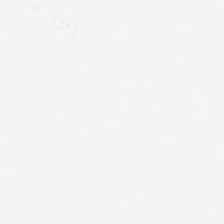The classification is no tissue.
